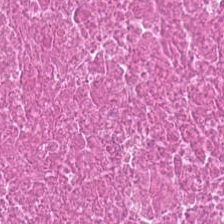0.5 microns per pixel. H&E stain. 224×224 px patch — Q: What is shown in this field?
A: The field shows necrotic debris.
